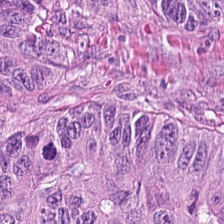{"tissue_type": "colorectal adenocarcinoma epithelium"}
